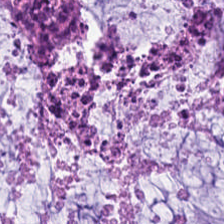Hematoxylin and eosin.
The predominant tissue is extracellular mucin.
